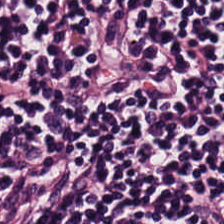H&E stain. Tissue — lymphoid infiltrate.
